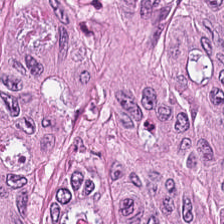224×224 pixel tile. Brightfield microscopy. Hematoxylin-and-eosin stained section — Predominant tissue — adenocarcinoma.
